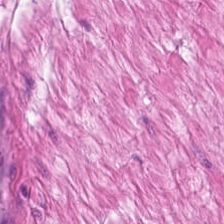H&E-stained tissue section showing smooth muscle.
